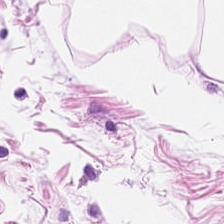224×224 pixel tile · H&E — Showing adipocytes.
